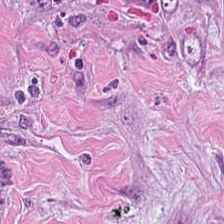Brightfield; H&E.
Tissue = tumor-associated stroma.
